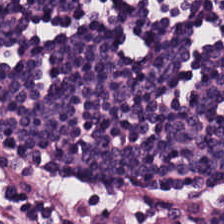Stain: H&E.
Predominant tissue: lymphoid infiltrate.
